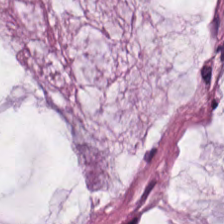Formalin-fixed paraffin-embedded section; H&E-stained tissue section; 0.5 microns per pixel — This patch shows mucus.
